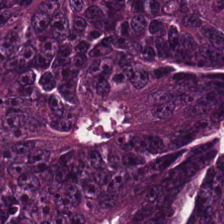H&E stain. Classification: colorectal adenocarcinoma epithelium.
